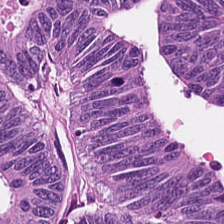Colorectal adenocarcinoma epithelium.
